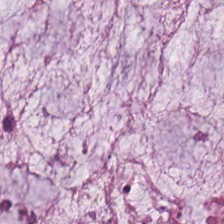224×224 pixel tile · hematoxylin-and-eosin stained section.
The classification is mucin.
